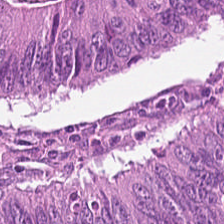224×224 pixel tile; hematoxylin and eosin. Predominantly adenocarcinoma.
